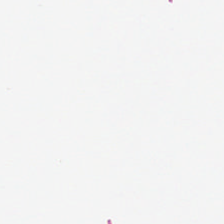20× equivalent magnification · H&E. Classification = empty background.
